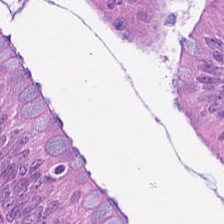H&E-stained tissue section — The predominant tissue is malignant epithelium.
